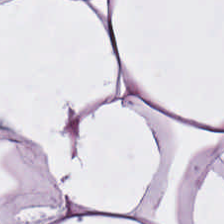Hematoxylin-and-eosin stained section — The tissue here is adipocytes.
